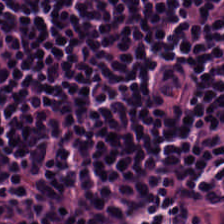H&E stain — This patch shows lymphocytic infiltrate.
